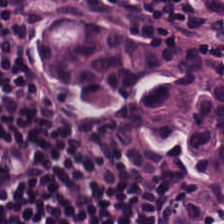H&E stain — Histology — lymphoid infiltrate.
